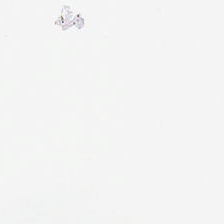H&E stain; brightfield microscopy. No tissue present; background only.
